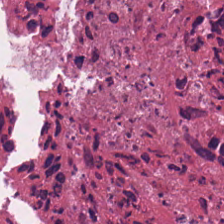Predominant tissue — cellular debris.
